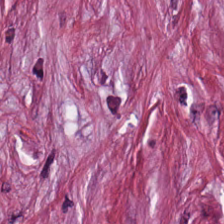Brightfield; H&E-stained tissue section.
The tissue here is desmoplastic stroma.
